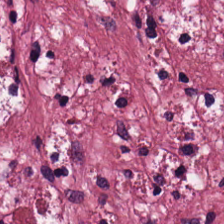Classification = cancer-associated stroma.
